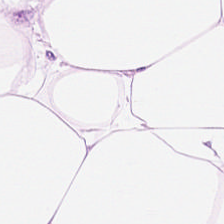Hematoxylin and eosin — Histology → adipose tissue.
